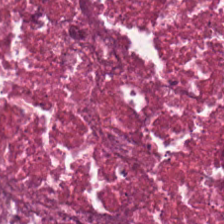Finding → cellular debris.
